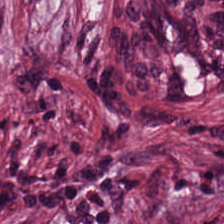224×224 px patch. H&E stain — Tissue: desmoplastic stroma.
